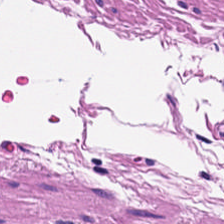Finding → smooth muscle.
